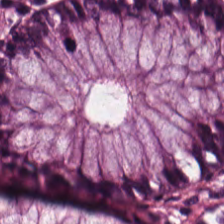0.5 µm/px; hematoxylin and eosin.
Tissue class — normal colon mucosa.
